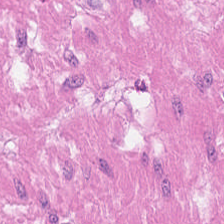Stain: H&E stain.
Resolution: 0.5 µm per pixel.
Tile size: 224×224 pixel tile.
Tissue class: smooth-muscle tissue.
